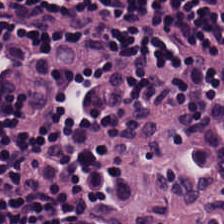Stain: H&E stain.
Tissue: lymphoid infiltrate.
